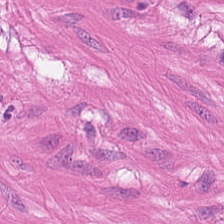Stain: H&E.
Tissue type: smooth muscle.
